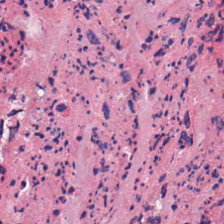H&E-stained tissue section; brightfield microscopy — Tissue type: debris.
